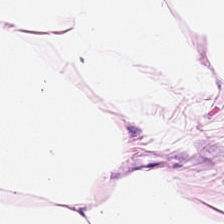Whole-slide-image patch · formalin-fixed paraffin-embedded section · H&E stain.
This patch shows fat tissue.
